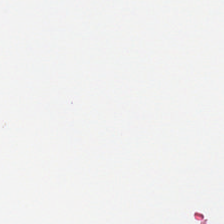H&E. Empty field — no tissue.
